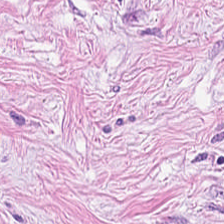Hematoxylin-and-eosin section: tumor-associated stroma.
